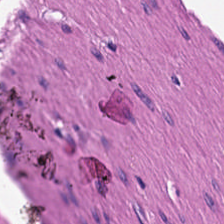0.5 microns per pixel; hematoxylin-and-eosin stained section; brightfield microscopy. Tissue = smooth-muscle tissue.
